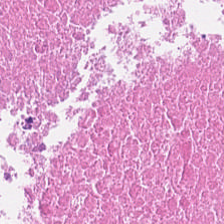H&E patch showing debris.
